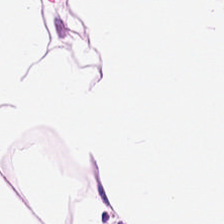Stain: H&E-stained tissue section.
Tissue type: adipose tissue.
